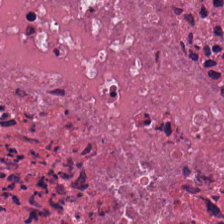Hematoxylin-and-eosin stained section. Histology → necrotic debris.
